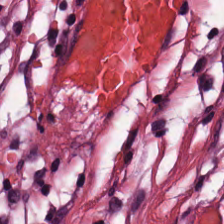Histology — tumor-associated stroma.
